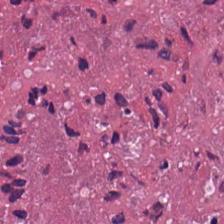Hematoxylin and eosin — Impression → cellular debris.
